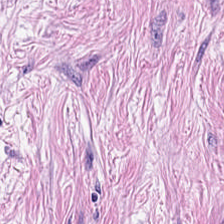Hematoxylin-and-eosin stained section.
Predominantly tumor-associated stroma.
